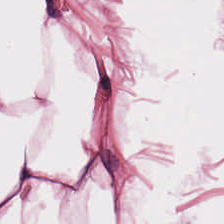The classification is adipose.
